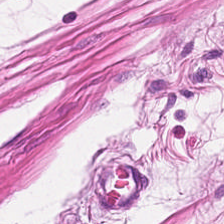Predominantly smooth muscle.
